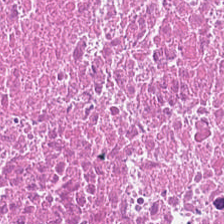Tissue type = cellular debris.
